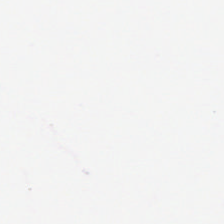H&E stain; FFPE tissue section.
{"content": "background (no tissue)"}
